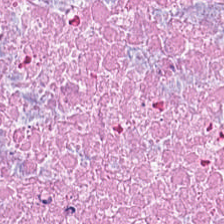Hematoxylin-and-eosin stained section; 0.5 µm/px — Tissue class: cellular debris.
